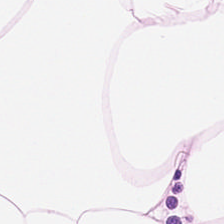224×224 px tile; hematoxylin and eosin. Finding → adipose tissue.
